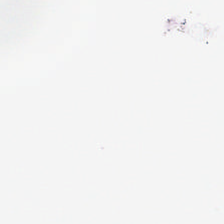H&E stain. The field content is no tissue.
